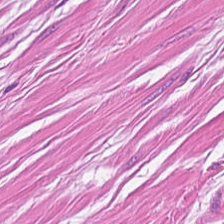Tissue type: smooth muscle.
